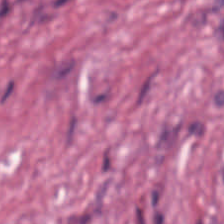Hematoxylin and eosin · FFPE — Q: What is shown here?
A: It is tumor-associated stroma.
